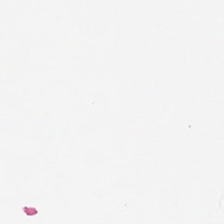Stain: H&E-stained tissue section.
Acquisition: brightfield microscopy.
Preparation: formalin-fixed paraffin-embedded section.
Classification: empty background.
